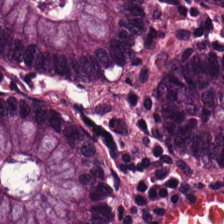Tissue class: normal colon mucosa.
